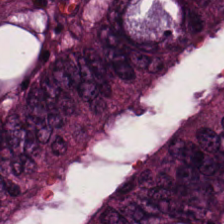Hematoxylin-and-eosin stained section; brightfield — Colorectal adenocarcinoma.
